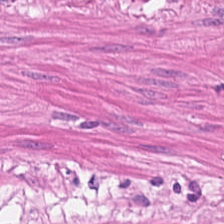Hematoxylin-and-eosin stained section · formalin-fixed paraffin-embedded section.
Predominantly smooth-muscle tissue.
